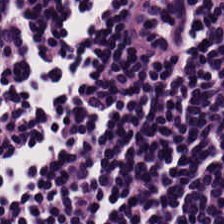FFPE tissue section; H&E. Showing lymphocytic infiltrate.
